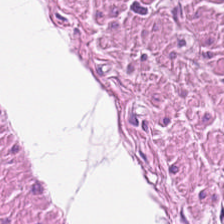H&E-stained tissue section. This patch shows muscularis.
